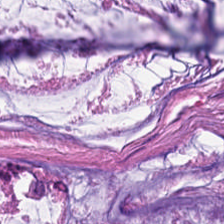H&E-stained tissue section; 224×224 px patch. The classification is mucin.
